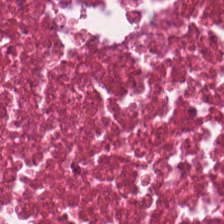Hematoxylin-and-eosin stained section.
Tissue: necrotic debris.
